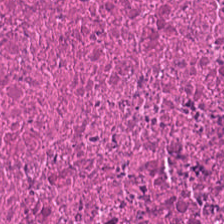0.5 microns per pixel; H&E stain. Tissue type — debris.
